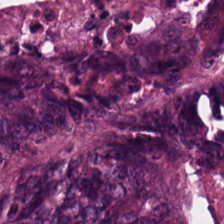Hematoxylin and eosin — Tissue: colorectal adenocarcinoma epithelium.
